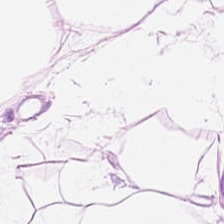Histology — adipose tissue.
